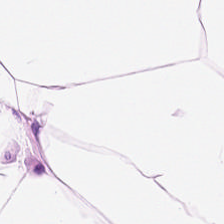H&E stain · WSI patch — Q: Identify the tissue.
A: Adipocytes.
